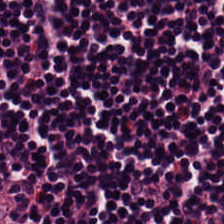0.5 µm per pixel · H&E-stained tissue section. Q: What type of tissue is this?
A: This is lymphocytic infiltrate.
